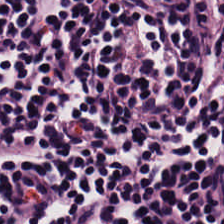0.5 µm/px; formalin-fixed paraffin-embedded section; H&E-stained tissue section.
Histology — lymphocytic infiltrate.
